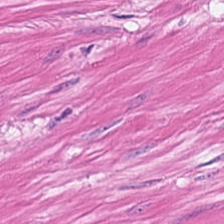Whole-slide-image patch · hematoxylin and eosin.
Tissue = smooth-muscle tissue.
